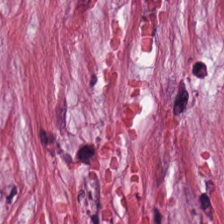Classification: cancer-associated stroma.
